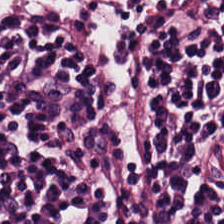Hematoxylin and eosin. Classification: lymphocytic infiltrate.
